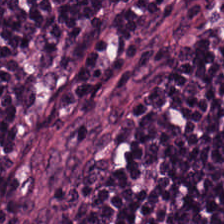Hematoxylin-and-eosin stained section. The tissue here is lymphocyte aggregate.
